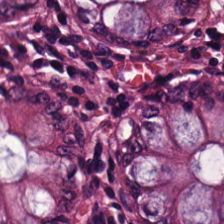224×224 px tile · FFPE tissue section · H&E stain — Q: Identify the tissue.
A: This is benign colonic mucosa.
